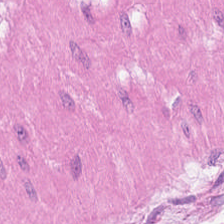Stain: H&E stain.
Predominant tissue: smooth-muscle tissue.
